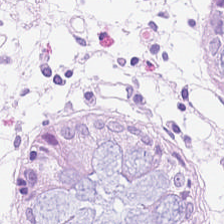Hematoxylin and eosin.
Impression → normal colon mucosa.
